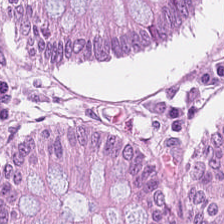Stain: H&E stain.
Tissue type: benign colonic mucosa.
